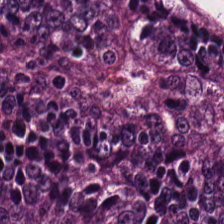0.5 microns per pixel · hematoxylin and eosin.
Showing adenocarcinoma.
